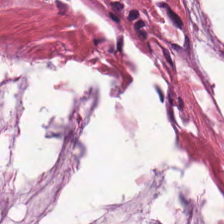H&E-stained tissue section.
The predominant tissue is mucin.
